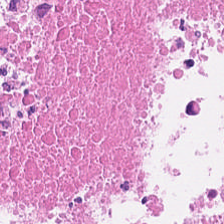Hematoxylin-and-eosin stained section; whole-slide-image patch.
Q: What is shown in this field?
A: The field shows cellular debris.
